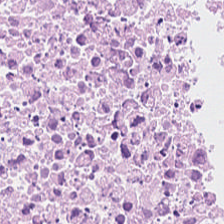Hematoxylin-and-eosin stained section; brightfield; FFPE tissue section.
The predominant tissue is cellular debris.
